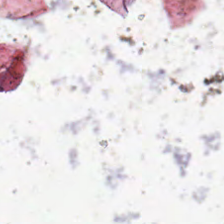This patch shows background (no tissue).
